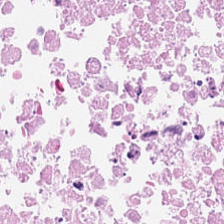Stain: hematoxylin and eosin.
Tissue class: cellular debris.
